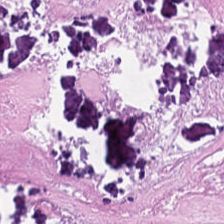H&E-stained section; the field shows debris.
